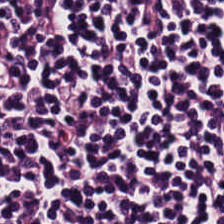H&E-stained tissue section showing lymphocyte aggregate.
